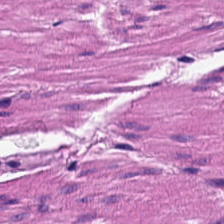H&E. Q: What is the predominant tissue type?
A: Smooth-muscle tissue.
